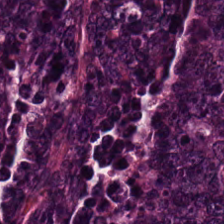H&E-stained tissue section · WSI patch. The tissue is malignant epithelium.
